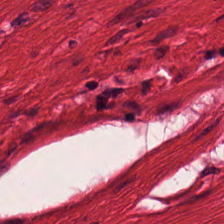FFPE. Hematoxylin and eosin — Smooth-muscle tissue.
